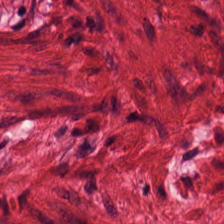The tissue class is muscularis.
